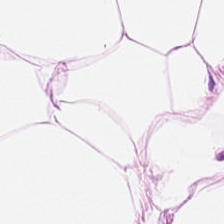Hematoxylin-and-eosin stained section — Q: What type of tissue is this?
A: The field shows adipose tissue.
